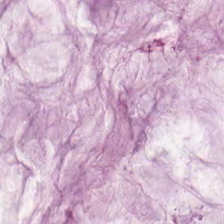H&E-stained tissue section; formalin-fixed paraffin-embedded section — Q: Identify the tissue.
A: Mucin.
